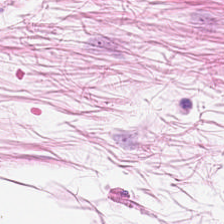Whole-slide-image patch · H&E-stained tissue section. Classification = adipose tissue.
